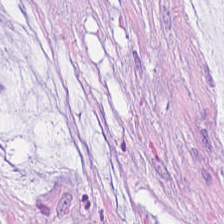224×224 pixel tile · H&E-stained tissue section.
Q: Classify this patch.
A: This is extracellular mucin.
